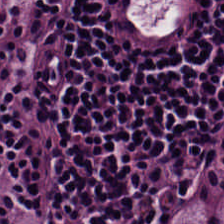H&E-stained tissue section.
Predominantly lymphocytes.
